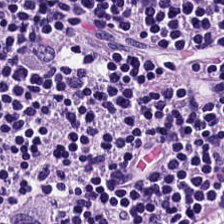H&E — Histology — lymphocyte aggregate.
